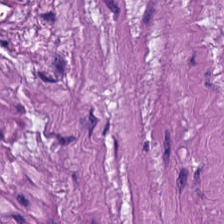Stain: H&E stain.
Predominant tissue: smooth-muscle tissue.
